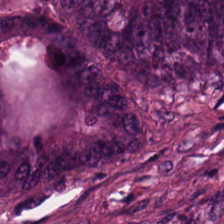H&E · WSI patch — The predominant tissue is colorectal adenocarcinoma epithelium.
